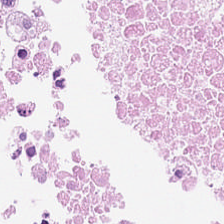H&E — Predominant tissue = debris.
